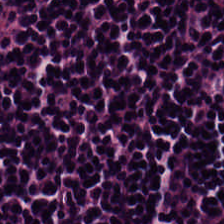H&E; WSI patch. Q: Classify this patch.
A: Lymphocytic infiltrate.
